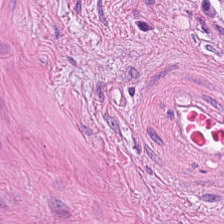Hematoxylin-and-eosin stained section. The predominant tissue is smooth muscle.
